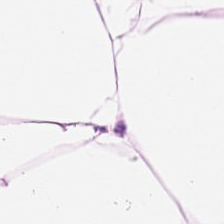Brightfield microscopy · FFPE tissue section · hematoxylin and eosin.
Adipose.
